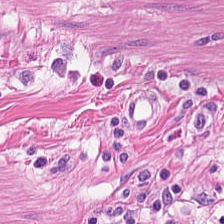Brightfield microscopy. H&E — The predominant tissue is smooth muscle.
